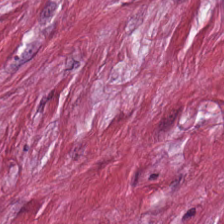FFPE tissue section; 0.5 µm per pixel; hematoxylin-and-eosin stained section — This patch shows tumor stroma.
